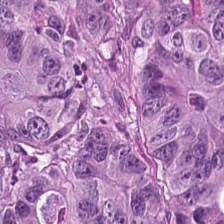H&E stain. 0.5 µm per pixel. Formalin-fixed paraffin-embedded section — Classification: malignant epithelium.
